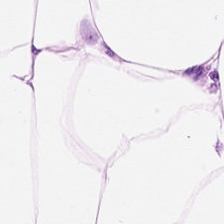Hematoxylin and eosin · 0.5 µm per pixel. Showing adipocytes.
